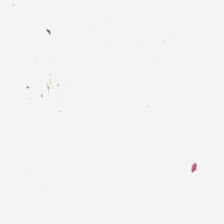{"content": "background"}
